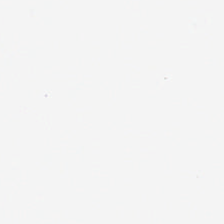H&E stain · 224×224 pixel tile.
This field is background (no tissue).
